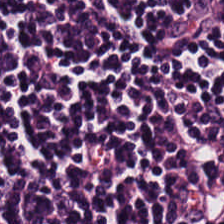0.5 µm per pixel; H&E.
{"tissue_type": "lymphocytic infiltrate"}
